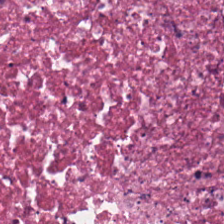This patch shows cellular debris.
